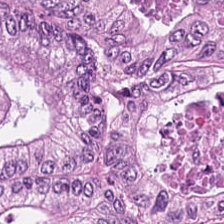0.5 µm/px · hematoxylin-and-eosin stained section.
Q: What tissue type is shown here?
A: It is colorectal adenocarcinoma.
